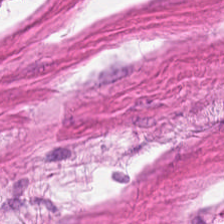0.5 microns per pixel · H&E stain · brightfield microscopy. Showing smooth muscle.
